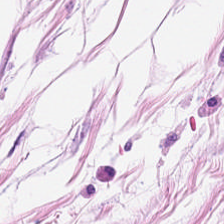Showing adipocytes.
